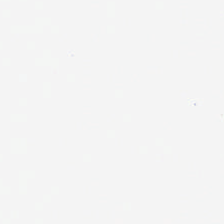Hematoxylin-and-eosin stained section — Background — no tissue in this field.
